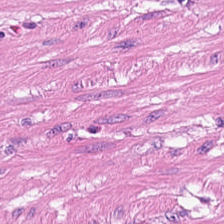0.5 µm per pixel; H&E-stained tissue section; 224×224 pixel tile — Q: What is shown here?
A: Smooth-muscle tissue.
